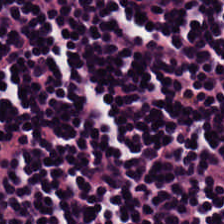The classification is lymphoid infiltrate.
